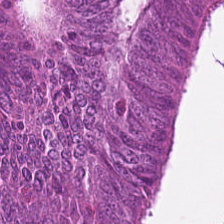FFPE; H&E stain.
Impression → adenocarcinoma.
